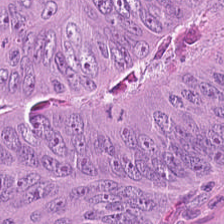H&E · formalin-fixed paraffin-embedded section. Tissue class — adenocarcinoma.
